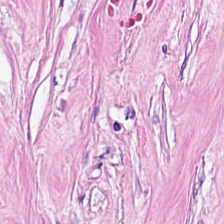H&E — Tissue — desmoplastic stroma.
